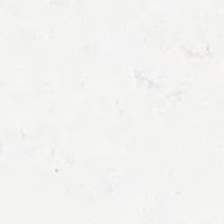H&E-stained tissue section · FFPE tissue section.
The classification is background (no tissue).
